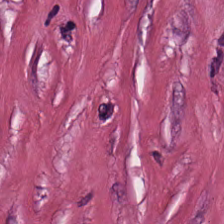H&E — Showing tumor stroma.
